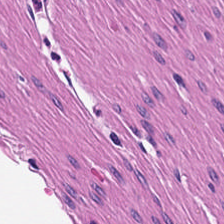Hematoxylin and eosin.
Tissue type — smooth muscle.
